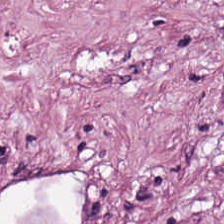FFPE tissue section · H&E stain · 20× equivalent magnification — The tissue here is desmoplastic stroma.
